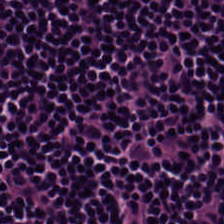224×224 pixel tile. H&E-stained tissue section. Tissue = lymphoid infiltrate.
